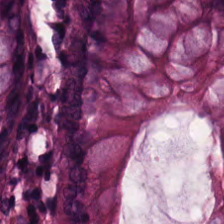H&E. Brightfield microscopy — {"tissue_type": "benign colonic mucosa"}
